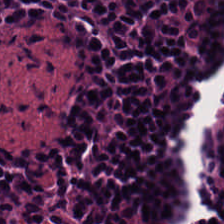Brightfield microscopy · H&E stain — The tissue here is lymphocytic infiltrate.
